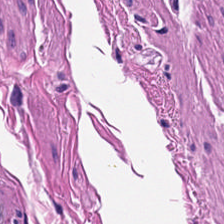H&E stain; FFPE; whole-slide-image patch.
The classification is smooth muscle.
